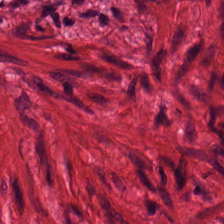H&E-stained tissue section — Tissue class: muscularis.
